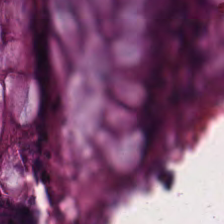Hematoxylin-and-eosin stained section; 224×224 pixel tile.
Q: Classify this patch.
A: It is non-neoplastic colon mucosa.
